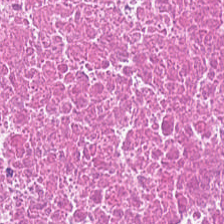H&E.
Predominantly cellular debris.
